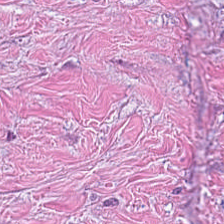FFPE tissue section. Hematoxylin-and-eosin stained section — Predominantly desmoplastic stroma.
